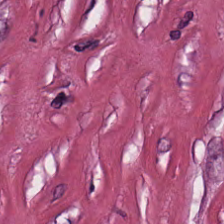Stain: hematoxylin-and-eosin stained section.
Tissue type: cancer-associated stroma.
